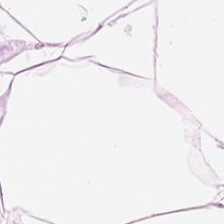Stain: H&E-stained tissue section.
Predominant tissue: adipocytes.
